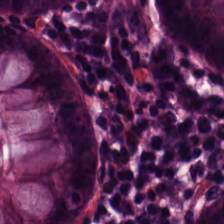FFPE tissue section. Hematoxylin-and-eosin stained section.
Tissue type = normal colonic mucosa.
